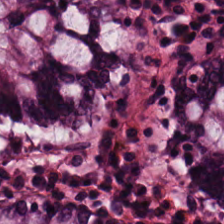Tissue: benign colonic mucosa.
